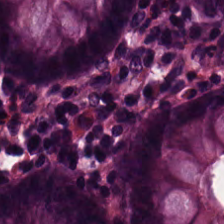Whole-slide-image patch; hematoxylin and eosin — This patch shows normal colonic mucosa.
